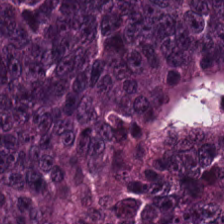H&E stain · FFPE tissue section · 0.5 µm per pixel — The predominant tissue is adenocarcinoma.
